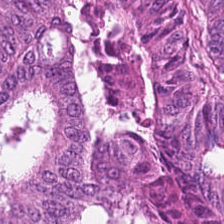20× equivalent magnification. 224×224 pixel tile. H&E.
Predominant tissue — adenocarcinoma.
